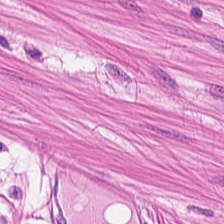Hematoxylin and eosin. Q: What does this patch show?
A: It is smooth muscle.
